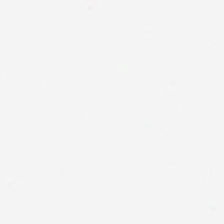Hematoxylin and eosin — Content = background (no tissue).
